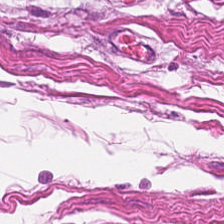H&E-stained tissue section.
Tissue = smooth-muscle tissue.
